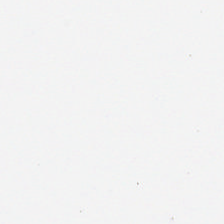Hematoxylin and eosin — No tissue present; background only.
